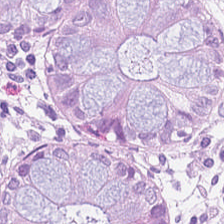Hematoxylin-and-eosin stained section. Q: What is shown here?
A: The field shows non-neoplastic colon mucosa.
